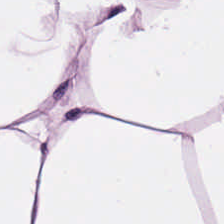Hematoxylin and eosin — Predominantly adipose.
